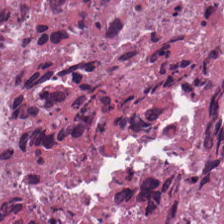Hematoxylin and eosin. The tissue here is necrotic debris.
